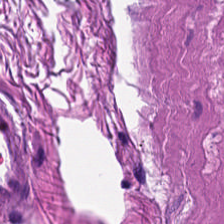Predominantly muscularis.
